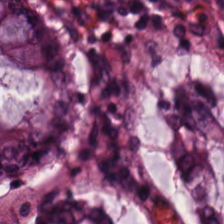Hematoxylin-and-eosin stained section — Showing normal colonic mucosa.
